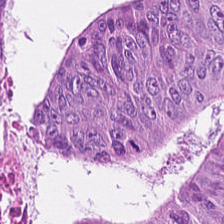H&E-stained tissue section — Impression → colorectal adenocarcinoma epithelium.
